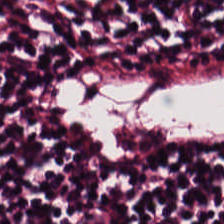Tissue — lymphocytes.
